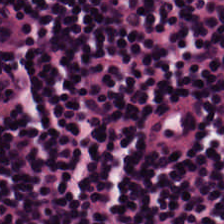Showing lymphoid infiltrate.
